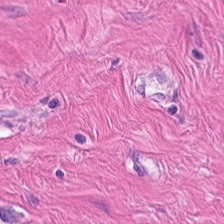H&E stain — Q: Identify the tissue.
A: This is muscularis.
